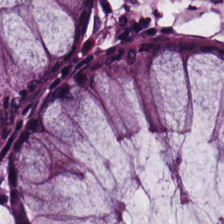Hematoxylin-and-eosin stained section. Q: What does this patch show?
A: It is normal colonic mucosa.
